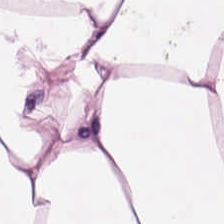H&E. Histology → adipose.
